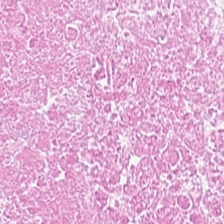224×224 px tile. Brightfield. H&E.
Predominantly cellular debris.
